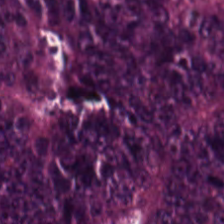H&E-stained tissue section showing tumor epithelium.
